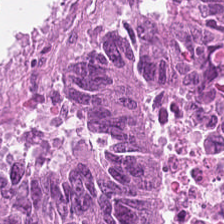Classification = colorectal adenocarcinoma.
